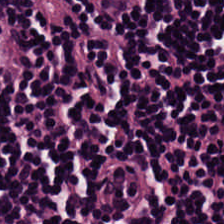WSI patch · H&E stain — The predominant tissue is lymphoid infiltrate.
